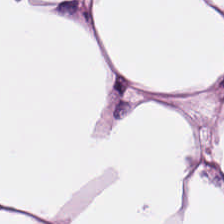Hematoxylin-and-eosin stained section — Finding → fat tissue.
